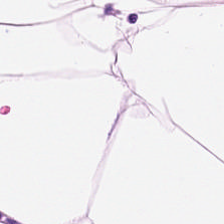FFPE tissue section · H&E-stained tissue section — Showing adipose tissue.
